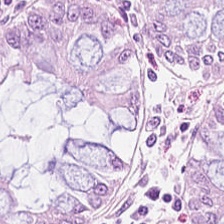Hematoxylin and eosin. This patch shows normal colon mucosa.
